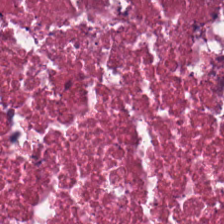Stain: H&E stain.
Classification: debris.
